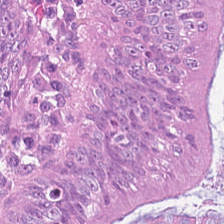Histology → colorectal adenocarcinoma.
